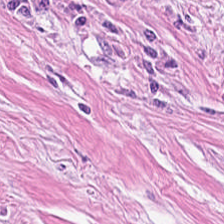Hematoxylin and eosin — {"tissue_type": "tumor-associated stroma"}
